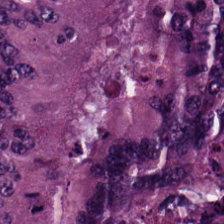Hematoxylin-and-eosin stained section. Histology — colorectal adenocarcinoma epithelium.
